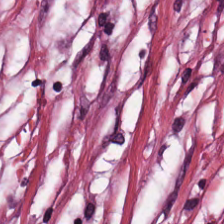Brightfield microscopy. Hematoxylin and eosin. Formalin-fixed paraffin-embedded section.
The tissue class is desmoplastic stroma.
